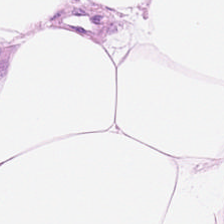Tissue type — adipose tissue.
